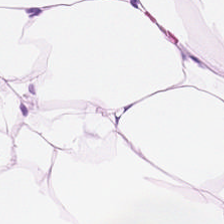H&E.
Tissue type — adipocytes.
